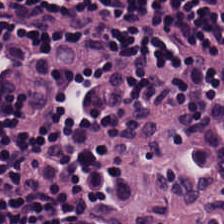Predominantly lymphocytic infiltrate.
